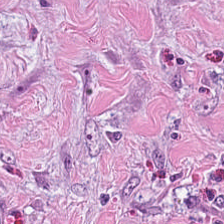Stain: H&E stain.
Tissue type: cancer-associated stroma.
